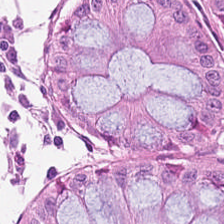H&E stain — {"tissue_type": "normal colonic mucosa"}
